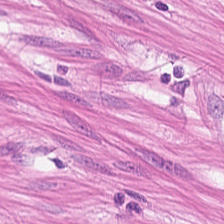Stain: H&E stain.
Tissue type: smooth muscle.
